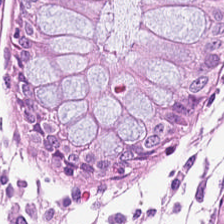H&E stain; 224×224 px patch.
Showing benign colonic mucosa.
